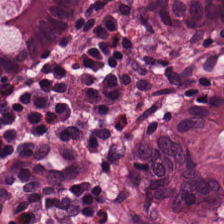0.5 µm/px. H&E. 224×224 px patch.
Tissue class = non-neoplastic colon mucosa.
